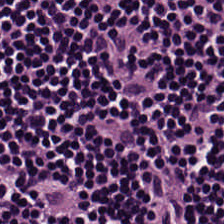Stain: H&E-stained tissue section.
Tile size: 224×224 pixel tile.
Resolution: 0.5 microns per pixel.
Classification: lymphocyte aggregate.
